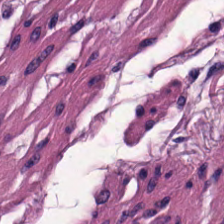The predominant tissue is muscularis.
